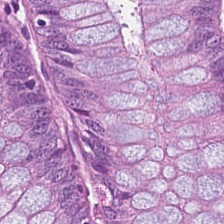H&E.
Tissue type — non-neoplastic colon mucosa.
